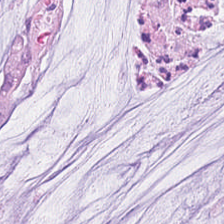This patch shows mucus.
